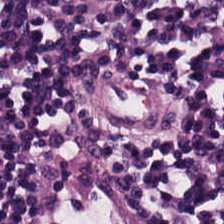H&E.
This field is lymphocytes.
